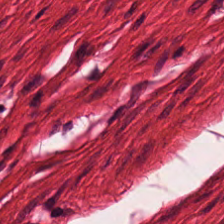H&E-stained tissue section — Smooth-muscle tissue.
